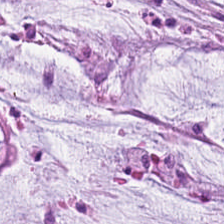0.5 µm/px; hematoxylin-and-eosin stained section. The predominant tissue is extracellular mucin.
